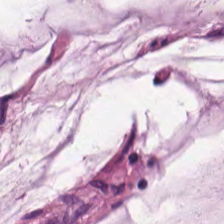The tissue is mucin.
